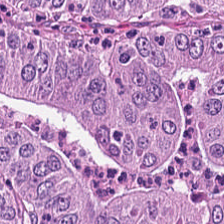The classification is malignant epithelium.
